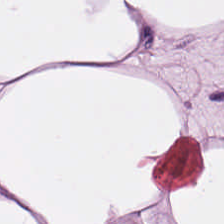Hematoxylin and eosin. This patch shows adipose tissue.
